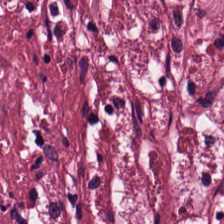0.5 µm per pixel; H&E stain; formalin-fixed paraffin-embedded section — Histology — tumor stroma.
